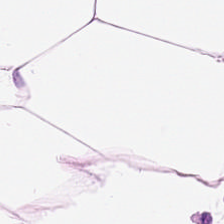H&E stain. This field is adipocytes.
